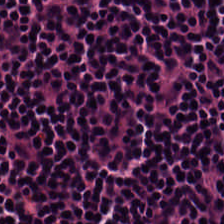Tissue — lymphocyte aggregate.
